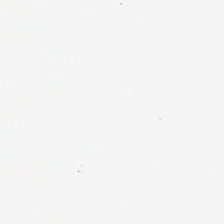Whole-slide-image patch. H&E-stained tissue section — Content = empty background.
